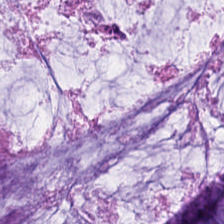Hematoxylin-and-eosin stained section · 0.5 µm per pixel. Predominant tissue: extracellular mucin.
